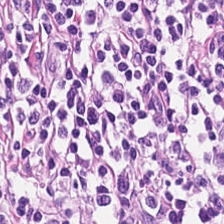Brightfield microscopy · hematoxylin-and-eosin stained section · FFPE tissue section. Tissue class: lymphocyte aggregate.
